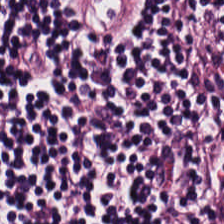H&E-stained tissue section. Q: What is shown here?
A: It is lymphocyte aggregate.
